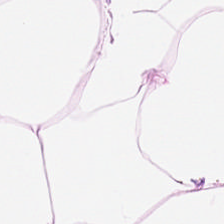Hematoxylin-and-eosin stained section; 0.5 µm per pixel.
{"tissue_type": "adipose"}
